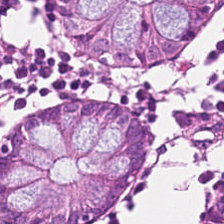Hematoxylin and eosin. 20× equivalent magnification — The predominant tissue is benign colonic mucosa.
